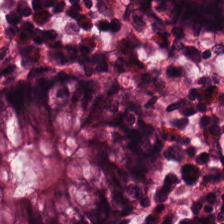H&E-stained tissue section. Classification = normal colon mucosa.
